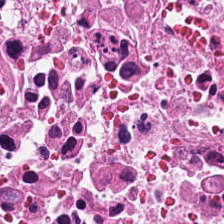Hematoxylin-and-eosin stained section — Tissue: cellular debris.
